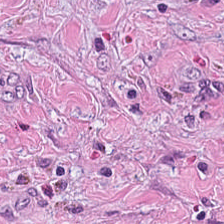Stain: H&E-stained tissue section.
Tissue: tumor-associated stroma.
